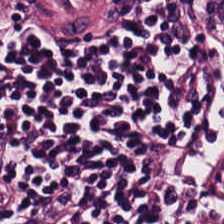H&E-stained tissue section.
Impression → lymphocyte aggregate.
